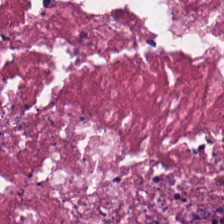Hematoxylin and eosin — Tissue type = debris.
